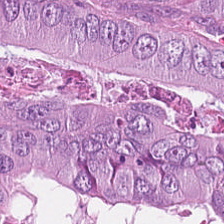H&E. 224×224 px tile. Brightfield.
Predominant tissue: colorectal adenocarcinoma epithelium.
